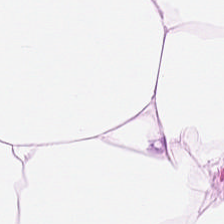The classification is adipose tissue.
